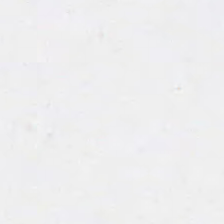Content: background (no tissue).
